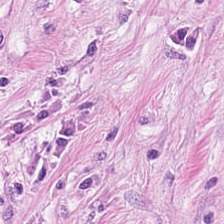Stain: hematoxylin and eosin.
Classification: tumor stroma.
